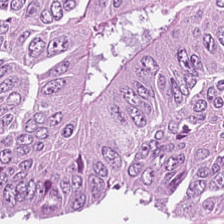Brightfield. Hematoxylin-and-eosin stained section. FFPE.
The classification is tumor epithelium.
